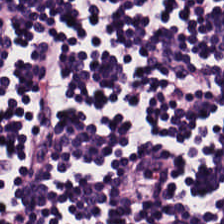Q: What tissue type is shown here?
A: The field shows lymphoid infiltrate.
